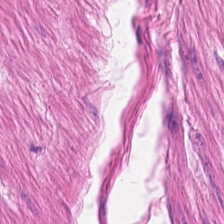H&E-stained tissue section. Predominant tissue — smooth muscle.
